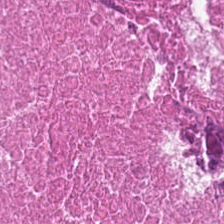Hematoxylin-and-eosin stained section.
Predominant tissue: debris.
